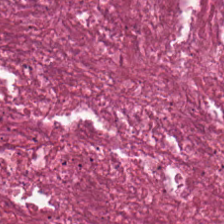Hematoxylin and eosin.
Showing necrotic debris.
